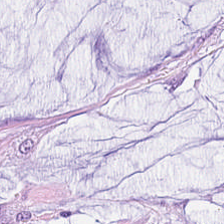H&E stain; 0.5 µm/px. The predominant tissue is extracellular mucin.
